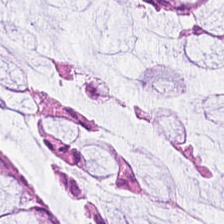H&E.
Tissue = non-neoplastic colon mucosa.
